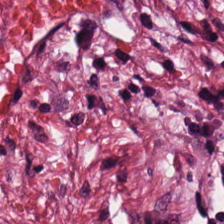FFPE tissue section · 224×224 px tile · hematoxylin and eosin. The predominant tissue is tumor stroma.
